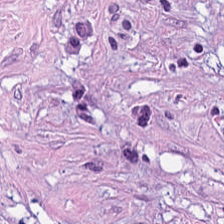0.5 µm per pixel; H&E.
Classification = tumor stroma.
